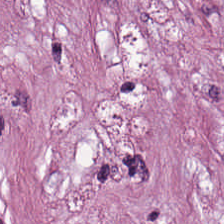The tissue here is cancer-associated stroma.
